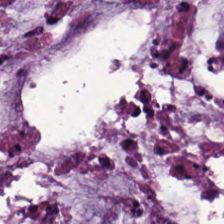Stain: H&E.
Tissue type: mucin.
